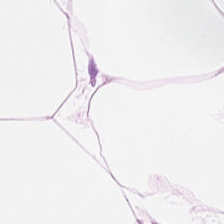Whole-slide-image patch; formalin-fixed paraffin-embedded section; H&E stain — Finding — fat tissue.
